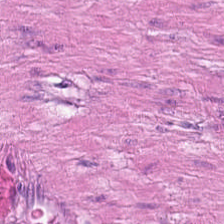Tissue class — smooth-muscle tissue.
